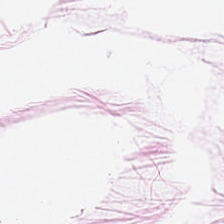Hematoxylin and eosin — The tissue is adipose tissue.
